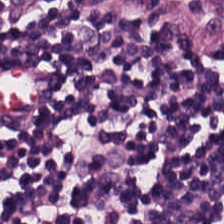Stain: H&E-stained tissue section.
Acquisition: WSI patch.
Resolution: 0.5 µm/px.
Tissue type: lymphoid infiltrate.
